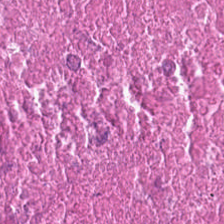H&E · brightfield microscopy · 0.5 µm/px. The predominant tissue is necrotic debris.
